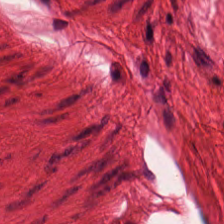Q: Identify the tissue.
A: This is muscularis.
